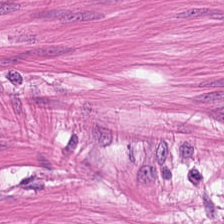H&E — Impression — smooth muscle.
